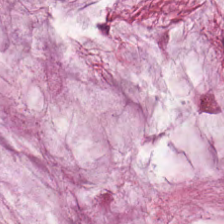224×224 pixel tile · H&E.
This patch shows mucin.
